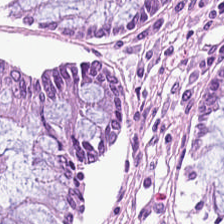Brightfield; H&E-stained tissue section; 224×224 pixel tile. The tissue here is non-neoplastic colon mucosa.
